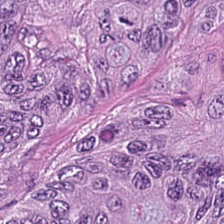H&E stain. WSI patch. 224×224 px patch — Histology → adenocarcinoma.
